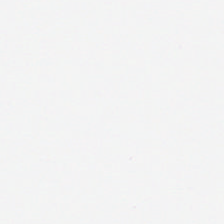This patch shows empty background.
